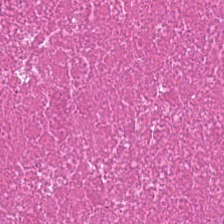H&E; 224×224 px patch. Q: What tissue type is shown here?
A: The field shows cellular debris.
